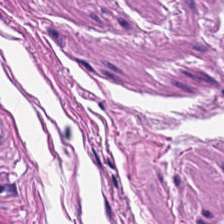0.5 microns per pixel · hematoxylin-and-eosin stained section.
Q: What is shown in this field?
A: Smooth muscle.
